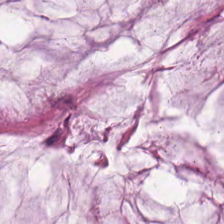H&E-stained tissue section — The tissue here is mucin.
